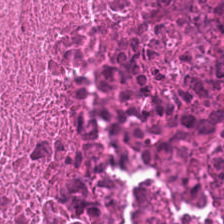Hematoxylin and eosin. Histology → necrotic debris.
